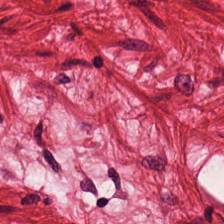Whole-slide-image patch · H&E-stained tissue section. Smooth muscle.
